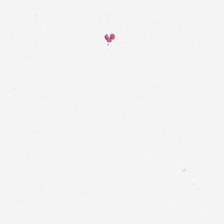Formalin-fixed paraffin-embedded section. H&E.
Histology → background (no tissue).
